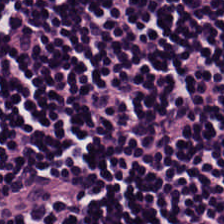Tissue type — lymphocytes.
